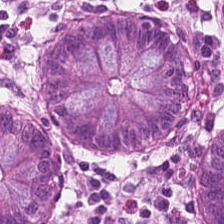H&E. Q: What is the predominant tissue type?
A: Benign colonic mucosa.
